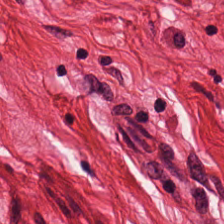H&E stain — The tissue here is muscularis.
